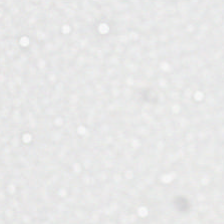FFPE. H&E stain. Background (no tissue).
